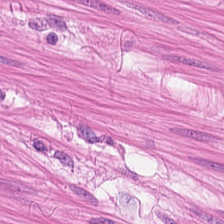Hematoxylin and eosin — Tissue = smooth-muscle tissue.
